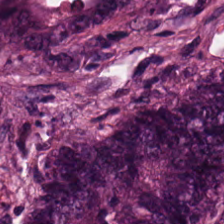Hematoxylin and eosin — Tissue type — tumor epithelium.
